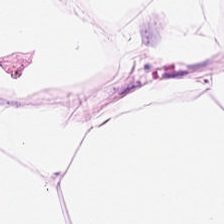Tissue class — fat tissue.
